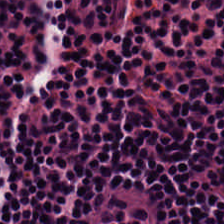H&E-stained tissue section. FFPE tissue section — This patch shows lymphocytic infiltrate.
